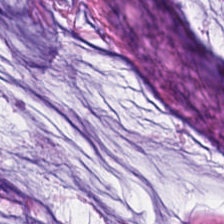Q: What tissue is shown?
A: Mucus.
